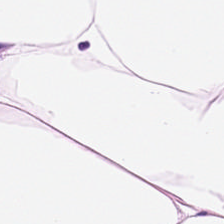Stain: H&E-stained tissue section.
Predominant tissue: adipose tissue.
